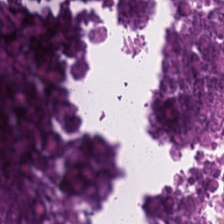0.5 microns per pixel. 224×224 px patch. H&E.
Tissue: debris.
